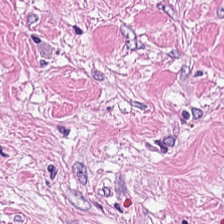Predominantly cancer-associated stroma.
